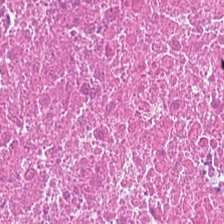Hematoxylin-and-eosin section: debris.
